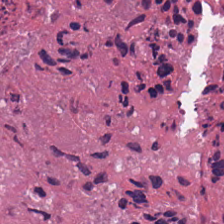Whole-slide-image patch · H&E-stained tissue section · FFPE. Q: What is shown in this field?
A: This is cellular debris.
